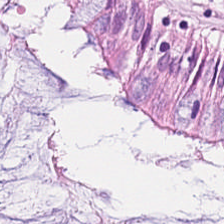Hematoxylin and eosin. Predominantly non-neoplastic colon mucosa.
